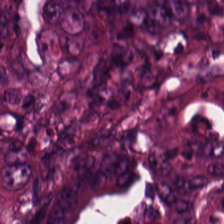FFPE; H&E-stained tissue section. This patch shows adenocarcinoma.
